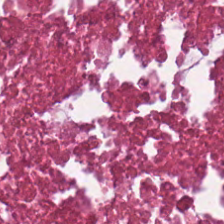The predominant tissue is necrotic debris.
